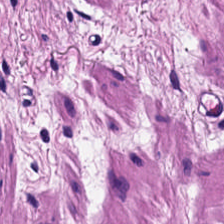0.5 µm/px · formalin-fixed paraffin-embedded section · H&E. Predominantly smooth muscle.
